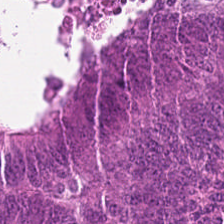H&E; FFPE; 0.5 microns per pixel. {"tissue_type": "adenocarcinoma"}
